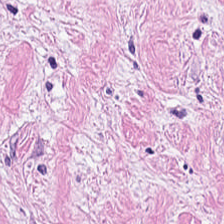Q: What is shown here?
A: The field shows tumor-associated stroma.
